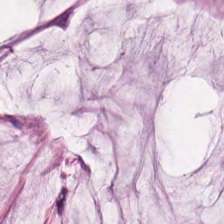H&E-stained tissue section.
The predominant tissue is mucin.
